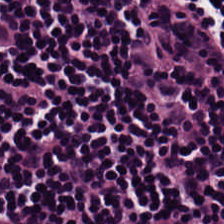H&E; FFPE; 224×224 pixel tile.
Classification: lymphocytic infiltrate.
